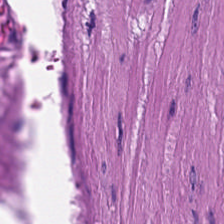Histology → smooth muscle.
